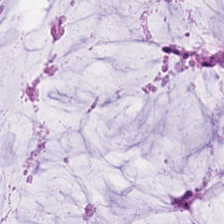Hematoxylin and eosin — Impression → mucus.
